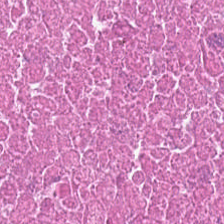This patch shows cellular debris.
